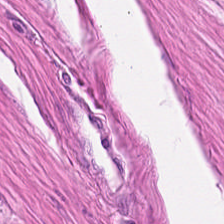Formalin-fixed paraffin-embedded section; hematoxylin-and-eosin stained section.
Histology → muscularis.
